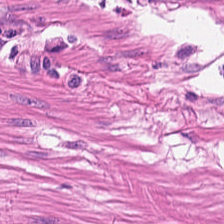Tissue = muscularis.
